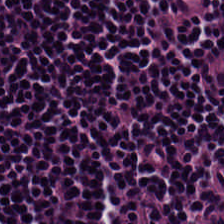H&E-stained section; the field shows lymphocyte aggregate.
